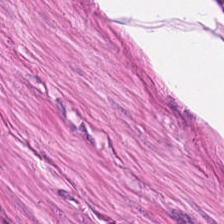Hematoxylin and eosin. Histology → muscularis.
